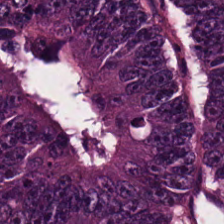H&E-stained tissue section. Impression — malignant epithelium.
